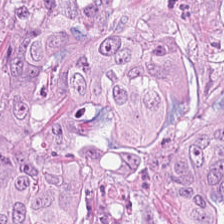H&E; formalin-fixed paraffin-embedded section. Q: What type of tissue is this?
A: It is malignant epithelium.
